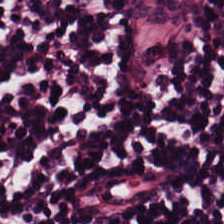H&E-stained tissue section.
Q: What tissue type is shown here?
A: It is lymphoid infiltrate.
